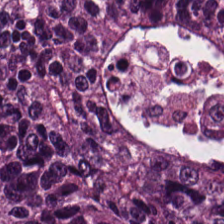Hematoxylin and eosin — Tissue class = adenocarcinoma.
